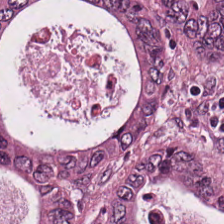Hematoxylin and eosin. 224×224 pixel tile.
Finding — tumor epithelium.
